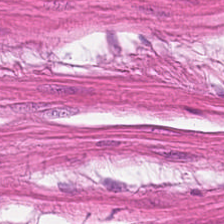FFPE; H&E-stained tissue section. Predominant tissue: smooth-muscle tissue.
